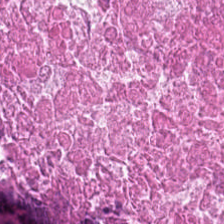H&E-stained tissue section.
Predominantly debris.
